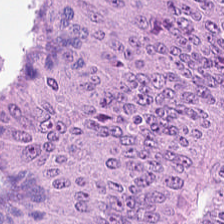Stain: H&E.
Tile size: 224×224 px patch.
Tissue class: adenocarcinoma.
